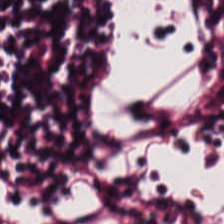Hematoxylin-and-eosin stained section; 224×224 px patch — Showing lymphoid infiltrate.
